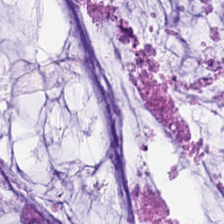Q: What is shown in this field?
A: It is mucus.
